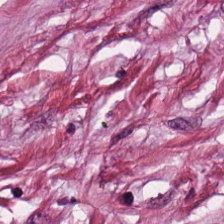H&E stain. Tissue type — tumor-associated stroma.
